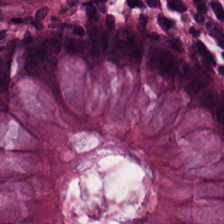{"tissue_type": "non-neoplastic colon mucosa"}
